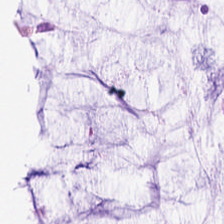H&E stain. Tissue type — mucin.
